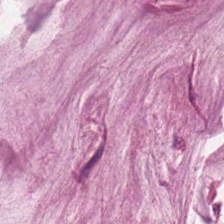Stain: hematoxylin-and-eosin stained section.
Resolution: 20× equivalent magnification.
Tissue class: extracellular mucin.
